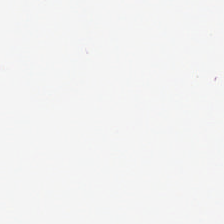224×224 px tile; H&E; 0.5 µm per pixel. The classification is background (no tissue).
